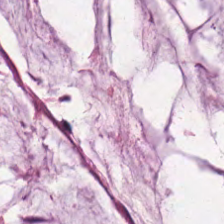The tissue is mucus.
